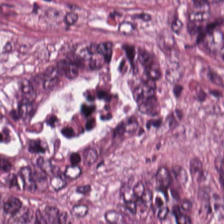Hematoxylin and eosin.
Q: What tissue type is shown here?
A: The field shows adenocarcinoma.
